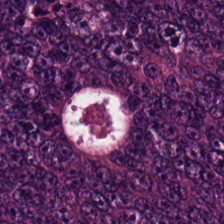H&E — colorectal adenocarcinoma epithelium.
